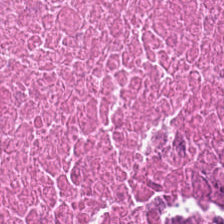H&E-stained tissue section. This field is necrotic debris.
